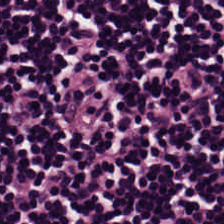Hematoxylin and eosin.
Classification: lymphocytes.
